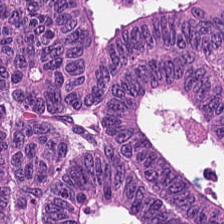H&E stain.
Malignant epithelium.
